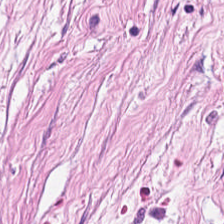Hematoxylin-and-eosin stained section; brightfield microscopy.
Histology → cancer-associated stroma.
